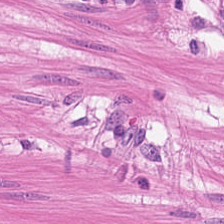H&E — Tissue class — muscularis.
